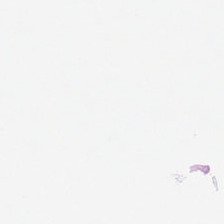Impression — empty background.
